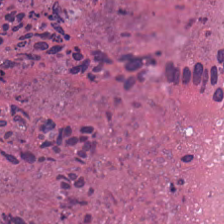H&E — Showing necrotic debris.
